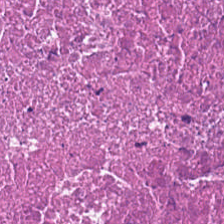H&E-stained tissue section.
The classification is necrotic debris.
